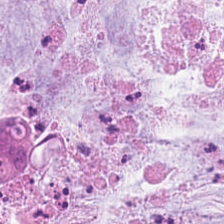Hematoxylin and eosin; FFPE.
Extracellular mucin.
